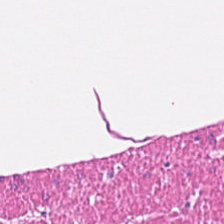Formalin-fixed paraffin-embedded section; H&E.
Q: Identify the tissue.
A: This is muscularis.
